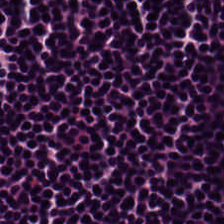The tissue is lymphocytes.
